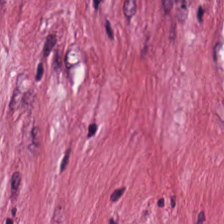H&E stain.
Predominant tissue: tumor-associated stroma.
